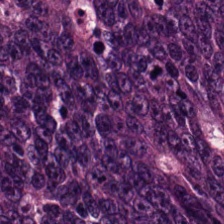H&E-stained section; the field shows colorectal adenocarcinoma.
